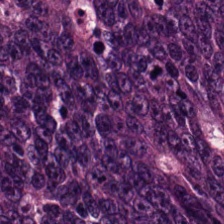H&E-stained section; the field shows colorectal adenocarcinoma.
